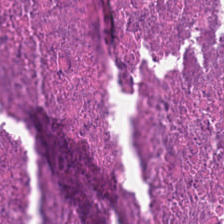Formalin-fixed paraffin-embedded section; H&E. The classification is necrotic debris.
